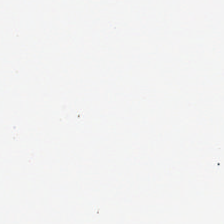Hematoxylin-and-eosin stained section. 224×224 pixel tile — Background (no tissue).
